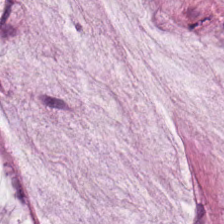Hematoxylin-and-eosin section: mucus.
